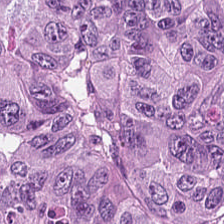Hematoxylin and eosin. Formalin-fixed paraffin-embedded section. Whole-slide-image patch.
This patch shows tumor epithelium.
